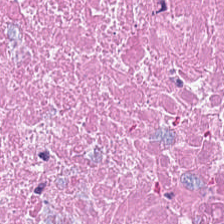Stain: H&E.
Tissue: debris.
